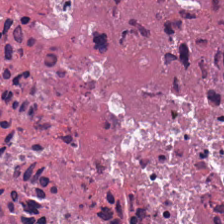Tissue class — necrotic debris.
